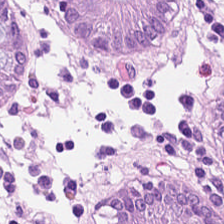FFPE tissue section; H&E-stained tissue section; 224×224 pixel tile.
The tissue here is non-neoplastic colon mucosa.
